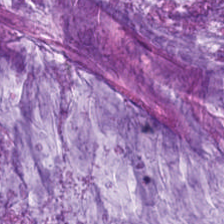WSI patch; 20× equivalent magnification; H&E — Extracellular mucin.
